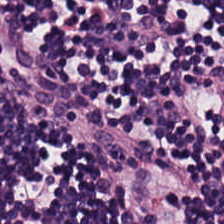Stain: hematoxylin-and-eosin stained section.
Predominant tissue: lymphocytic infiltrate.
